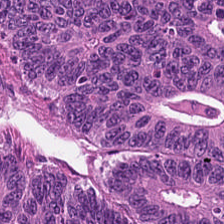Q: What tissue type is shown here?
A: It is tumor epithelium.
